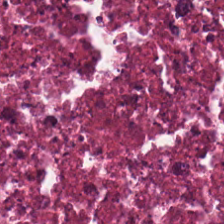H&E-stained tissue section · formalin-fixed paraffin-embedded section. Cellular debris.
